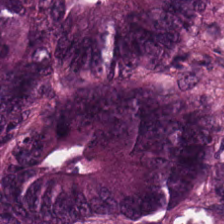H&E-stained tissue section — Q: What tissue is shown?
A: It is tumor epithelium.
